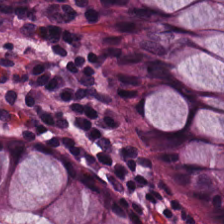H&E patch showing non-neoplastic colon mucosa.
